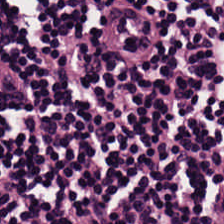H&E stain · 224×224 pixel tile — Finding — lymphocytic infiltrate.
